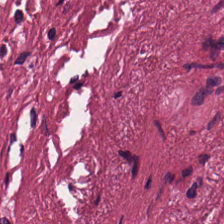Stain: hematoxylin and eosin.
Resolution: 0.5 microns per pixel.
Preparation: FFPE tissue section.
Classification: tumor-associated stroma.
